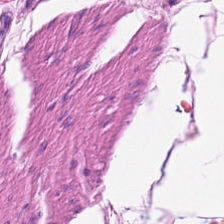224×224 pixel tile; H&E-stained tissue section; 0.5 µm/px — Q: What does this patch show?
A: It is smooth-muscle tissue.
